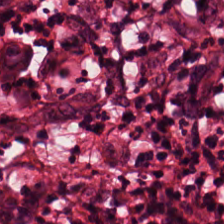Predominant tissue — tumor-associated stroma.
